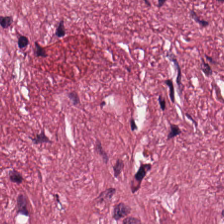Formalin-fixed paraffin-embedded section · 0.5 µm/px · hematoxylin and eosin. This field is tumor stroma.
